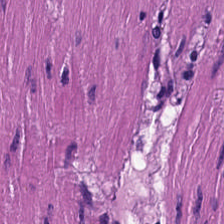Histology → muscularis.
